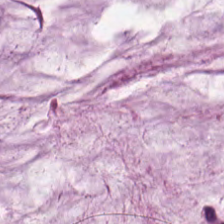Classification — extracellular mucin.
